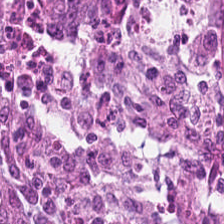Stain: H&E.
Predominant tissue: tumor epithelium.
